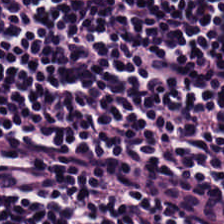WSI patch; H&E stain — Impression → lymphocytic infiltrate.
